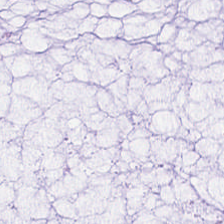H&E; whole-slide-image patch; 20× equivalent magnification — Classification = extracellular mucin.
